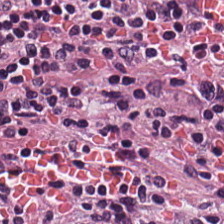Hematoxylin and eosin.
This field is lymphoid infiltrate.
